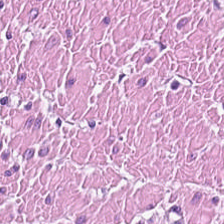H&E.
Q: What tissue is shown?
A: The field shows smooth muscle.
